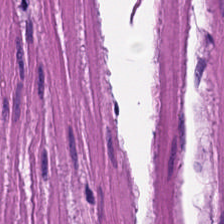Hematoxylin-and-eosin stained section.
The tissue here is smooth muscle.
